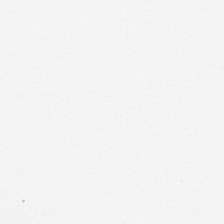H&E. This field is background (no tissue).
